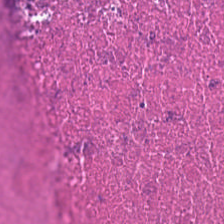FFPE · H&E stain. Predominant tissue: necrotic debris.
